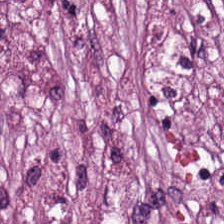Hematoxylin-and-eosin stained section. WSI patch — Q: What type of tissue is this?
A: The field shows desmoplastic stroma.
